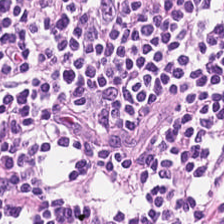Lymphocytes.
